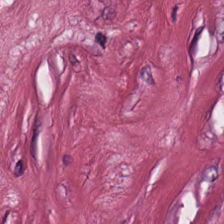H&E. Tissue: tumor-associated stroma.
